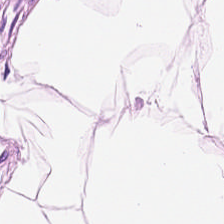H&E stain; FFPE. The predominant tissue is adipocytes.
